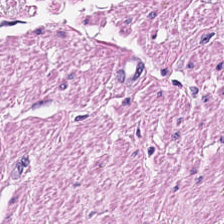Hematoxylin and eosin. Formalin-fixed paraffin-embedded section — The predominant tissue is smooth muscle.
